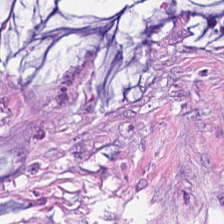Brightfield microscopy. Hematoxylin-and-eosin stained section. Q: What does this patch show?
A: This is desmoplastic stroma.
